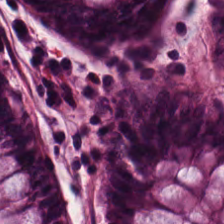Tissue type = normal colonic mucosa.
